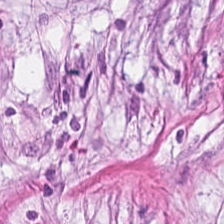H&E — tumor-associated stroma.
